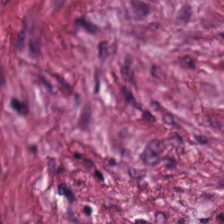Stain: hematoxylin and eosin.
Classification: tumor-associated stroma.
